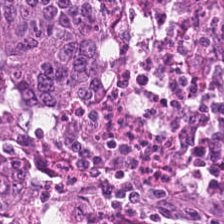Whole-slide-image patch. Hematoxylin and eosin.
Q: Classify this patch.
A: This is tumor epithelium.
